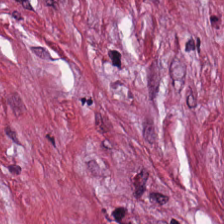H&E-stained tissue section. Q: What is the predominant tissue type?
A: Tumor-associated stroma.
